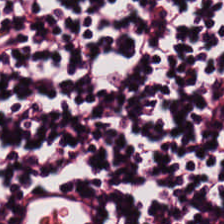FFPE tissue section · H&E. Predominantly lymphocyte aggregate.
